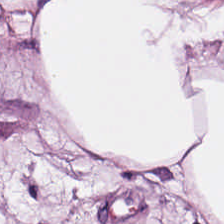Classification — adipose.
